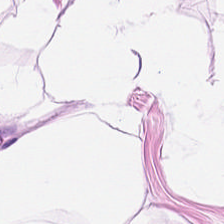H&E. WSI patch — The classification is fat tissue.
